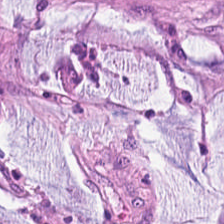H&E stain. Impression — mucus.
